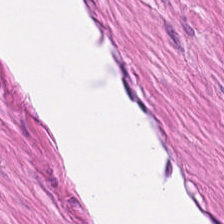This field is smooth-muscle tissue.
